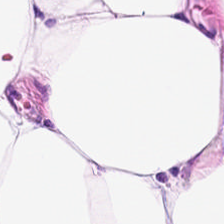H&E · 20× equivalent magnification — Tissue class = fat tissue.
